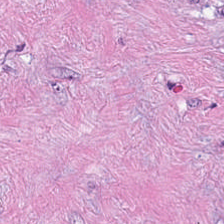Hematoxylin and eosin — The predominant tissue is tumor stroma.
